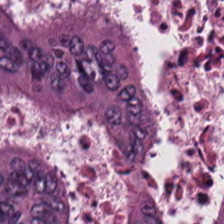224×224 px patch. H&E. 0.5 µm per pixel.
Tumor epithelium.
